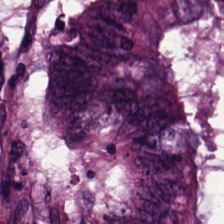Hematoxylin-and-eosin stained section. Q: What is shown in this field?
A: It is colorectal adenocarcinoma.
